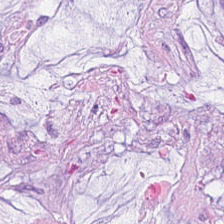Q: Identify the tissue.
A: The field shows extracellular mucin.
